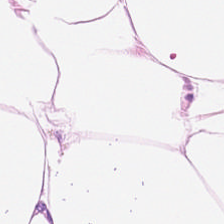H&E — Classification: fat tissue.
